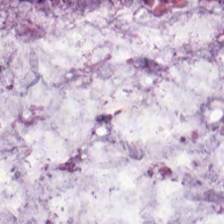Hematoxylin and eosin — {"tissue_type": "extracellular mucin"}
